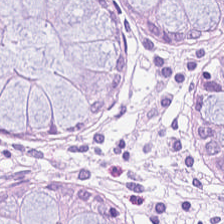Hematoxylin-and-eosin stained section · brightfield · FFPE tissue section — The predominant tissue is benign colonic mucosa.
